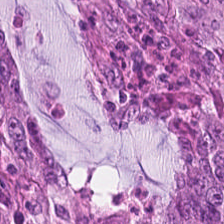FFPE tissue section; 224×224 px tile; H&E-stained tissue section.
Finding — tumor epithelium.
